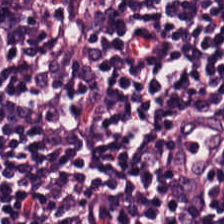H&E-stained tissue section — Q: What is the predominant tissue type?
A: Lymphocytes.
